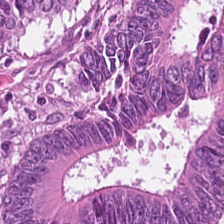Hematoxylin and eosin — Showing adenocarcinoma.
